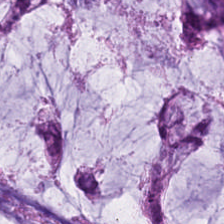Impression — mucin.
